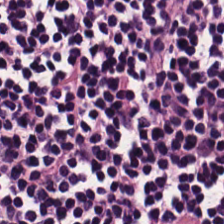Stain: hematoxylin-and-eosin stained section.
Resolution: 0.5 microns per pixel.
Classification: lymphocytic infiltrate.
